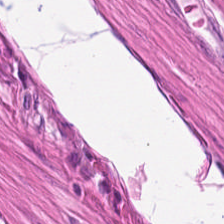Tissue = muscularis.
